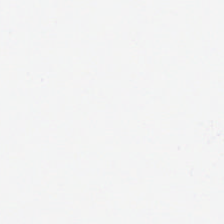H&E. Brightfield — This patch shows empty background.
